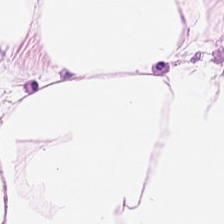Q: What is shown in this field?
A: It is fat tissue.
